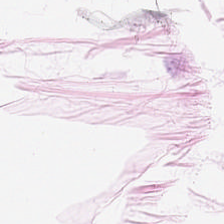H&E-stained tissue section · FFPE. Adipose.
